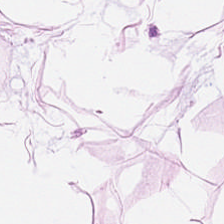The predominant tissue is adipose tissue.
